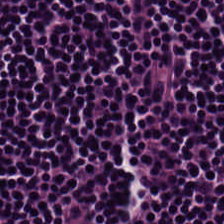Hematoxylin and eosin — The predominant tissue is lymphocytic infiltrate.
